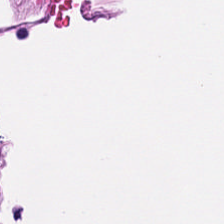H&E-stained tissue section.
This patch shows smooth muscle.
